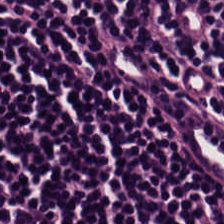FFPE. H&E. 0.5 microns per pixel. Histology → lymphocytes.
